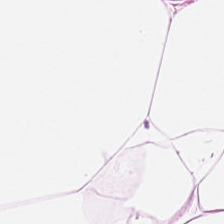0.5 µm per pixel. H&E.
Q: What does this patch show?
A: Adipose tissue.
